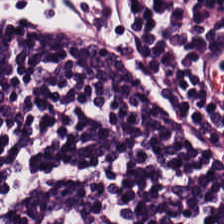Stain: H&E.
Acquisition: brightfield.
Preparation: formalin-fixed paraffin-embedded section.
Tissue: lymphoid infiltrate.
